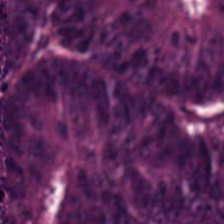Stain: hematoxylin-and-eosin stained section.
Tissue class: colorectal adenocarcinoma.
